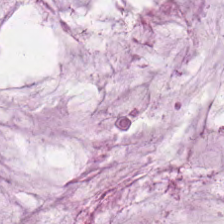Hematoxylin and eosin. The predominant tissue is mucus.
